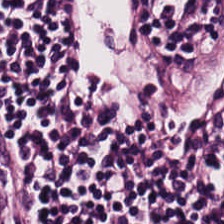224×224 px patch · H&E · formalin-fixed paraffin-embedded section — Predominant tissue = lymphocytes.
